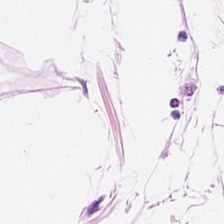FFPE · hematoxylin-and-eosin stained section. {"tissue_type": "adipocytes"}
